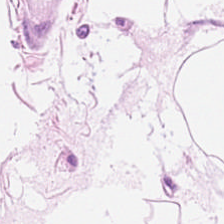H&E — Showing adipocytes.
